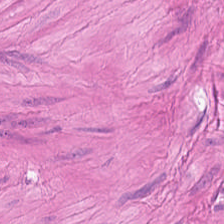The tissue here is muscularis.
